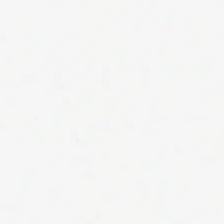H&E. FFPE tissue section. 224×224 px patch — Background — no tissue in this field.
